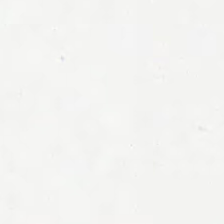Hematoxylin and eosin. Histology — empty background.
